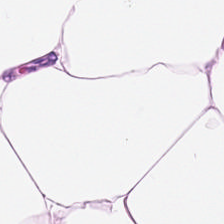WSI patch. 0.5 microns per pixel. Hematoxylin and eosin — Showing adipose.
